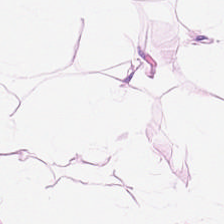Hematoxylin and eosin; FFPE — Tissue class: adipose tissue.
